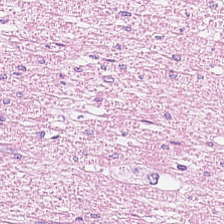Brightfield microscopy · hematoxylin and eosin — Finding → muscularis.
